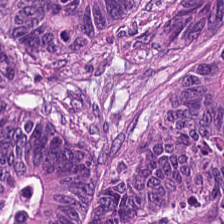H&E-stained tissue section.
The predominant tissue is tumor epithelium.
